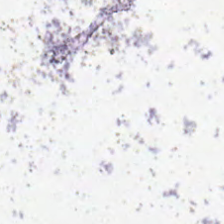Hematoxylin-and-eosin stained section — This field is background (no tissue).
